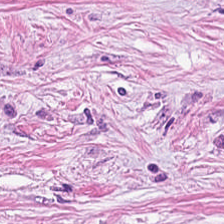H&E stain · WSI patch — Q: What does this patch show?
A: Desmoplastic stroma.
